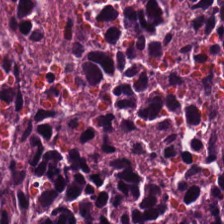H&E stain.
The tissue class is lymphocyte aggregate.
